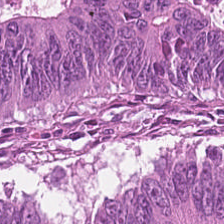Hematoxylin-and-eosin stained section — {"tissue_type": "tumor epithelium"}
